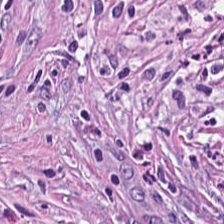H&E-stained tissue section · 224×224 px patch.
The tissue here is tumor-associated stroma.
